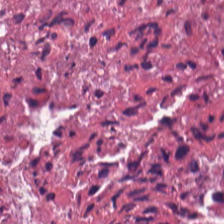Stain: H&E-stained tissue section.
Tissue type: debris.
